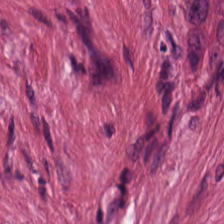H&E-stained tissue section showing tumor stroma.
